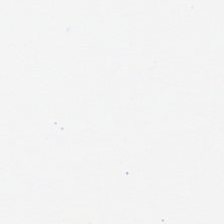Hematoxylin-and-eosin stained section. Field content = no tissue.
